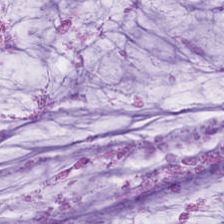H&E patch showing mucin.
